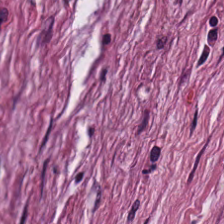H&E-stained tissue section; 0.5 µm per pixel; FFPE tissue section. Predominantly tumor-associated stroma.
